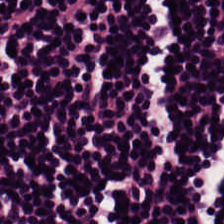FFPE; H&E stain. Finding — lymphocytic infiltrate.
